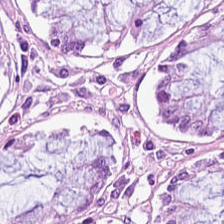224×224 px patch · hematoxylin-and-eosin stained section.
Q: What is the predominant tissue type?
A: Normal colon mucosa.
